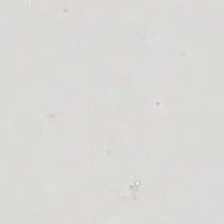224×224 pixel tile; whole-slide-image patch; H&E. Empty field — empty background.
